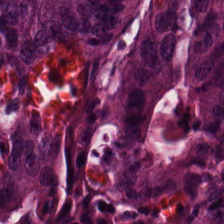224×224 pixel tile; H&E-stained tissue section.
Q: What does this patch show?
A: It is tumor epithelium.
